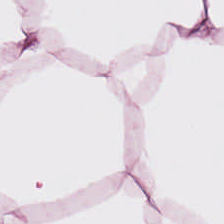Stain: hematoxylin-and-eosin stained section.
Tissue type: adipose.
